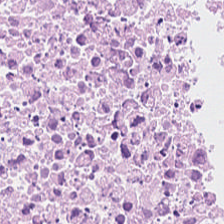Hematoxylin and eosin · 224×224 px tile · FFPE.
Q: What tissue is shown?
A: This is necrotic debris.
